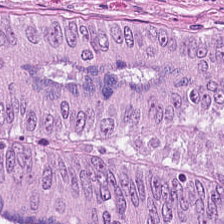Predominant tissue = adenocarcinoma.
